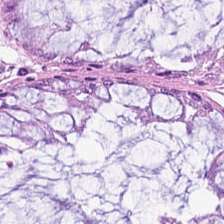H&E. {"tissue_type": "normal colonic mucosa"}
